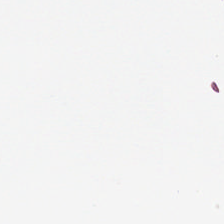H&E stain.
Q: What does this patch show?
A: The field shows background.
